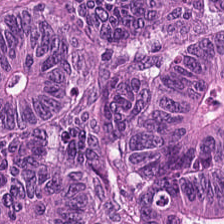H&E stain. Tissue — adenocarcinoma.
